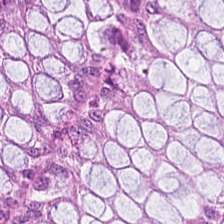Hematoxylin and eosin.
Showing normal colonic mucosa.
